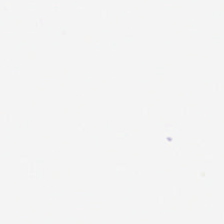H&E; 224×224 px patch; WSI patch. Classification — background (no tissue).
